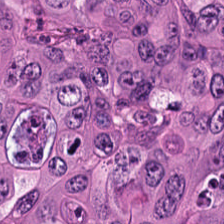Stain: hematoxylin-and-eosin stained section.
Tissue type: colorectal adenocarcinoma.
